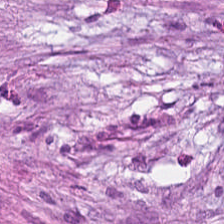H&E-stained tissue section. Q: What tissue type is shown here?
A: Cancer-associated stroma.
